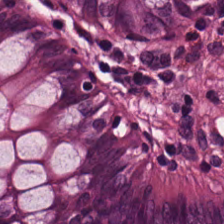H&E; brightfield microscopy. The predominant tissue is normal colon mucosa.
